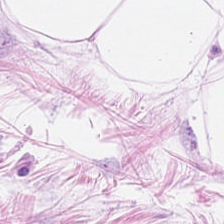H&E-stained tissue section. Whole-slide-image patch. The tissue here is adipocytes.
